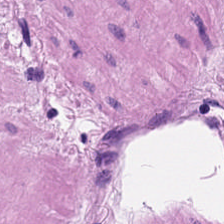This field is smooth muscle.
